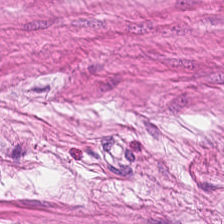Stain: H&E-stained tissue section.
Tissue class: smooth muscle.
